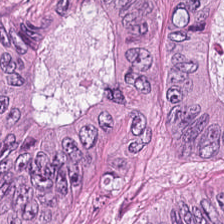Impression → colorectal adenocarcinoma.
